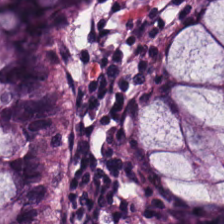Q: What tissue type is shown here?
A: This is normal colon mucosa.
